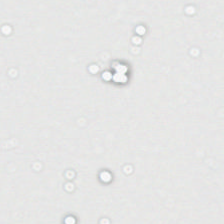H&E stain.
Field content: empty background.
